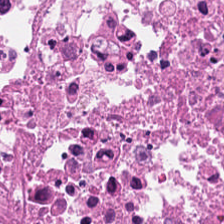The tissue is necrotic debris.
